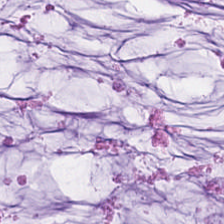The tissue type is extracellular mucin.
